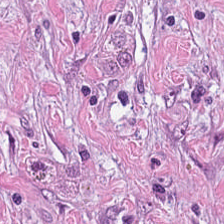Hematoxylin-and-eosin stained section; 224×224 px tile. Classification — cancer-associated stroma.
